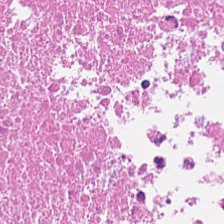0.5 µm/px. Hematoxylin-and-eosin stained section. 224×224 px patch. {"tissue_type": "debris"}
